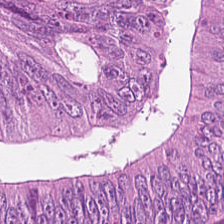H&E-stained tissue section — Impression — malignant epithelium.
